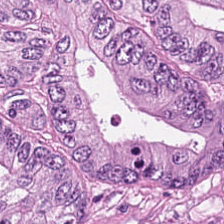224×224 px tile · FFPE tissue section · hematoxylin-and-eosin stained section. The predominant tissue is malignant epithelium.
